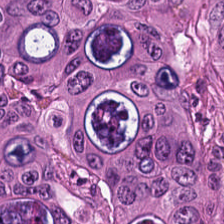Formalin-fixed paraffin-embedded section. Hematoxylin-and-eosin stained section. Q: What tissue is shown?
A: Adenocarcinoma.
